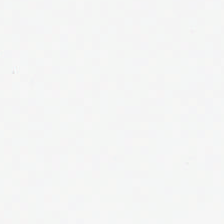Hematoxylin and eosin; formalin-fixed paraffin-embedded section. Histology — background.
